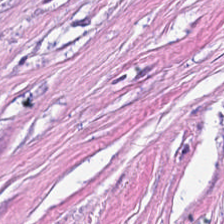Hematoxylin-and-eosin stained section — The tissue type is tumor-associated stroma.
